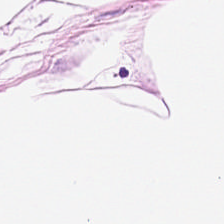Tissue type — fat tissue.
